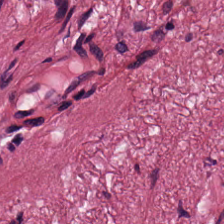H&E stain.
The tissue here is tumor-associated stroma.
